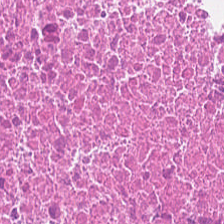Hematoxylin-and-eosin stained section.
Q: What does this patch show?
A: Necrotic debris.
